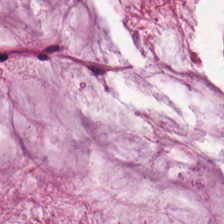Histology — mucus.
